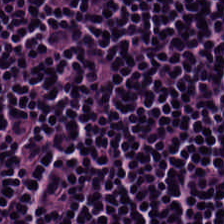Stain: H&E stain.
Preparation: formalin-fixed paraffin-embedded section.
Tissue type: lymphoid infiltrate.
